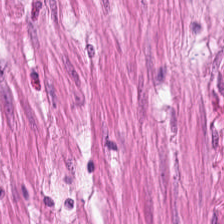Formalin-fixed paraffin-embedded section · WSI patch · H&E — Q: What is the predominant tissue type?
A: The field shows smooth-muscle tissue.
